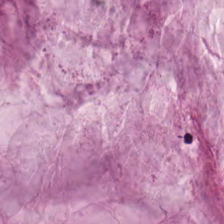Hematoxylin and eosin; 224×224 pixel tile; 0.5 µm/px.
Tissue = extracellular mucin.
